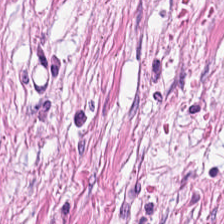224×224 px tile; hematoxylin-and-eosin stained section. Q: Identify the tissue.
A: Tumor-associated stroma.
